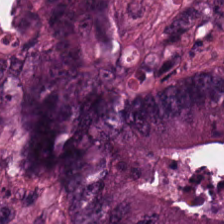FFPE tissue section; hematoxylin and eosin; 224×224 px patch.
The tissue here is colorectal adenocarcinoma.
